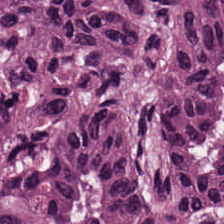224×224 px tile · hematoxylin-and-eosin stained section · WSI patch.
The tissue here is tumor epithelium.
